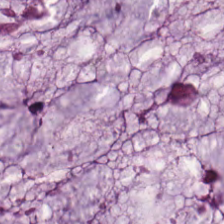Tissue: extracellular mucin.
